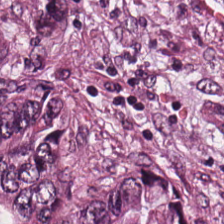Q: Identify the tissue.
A: This is colorectal adenocarcinoma.
